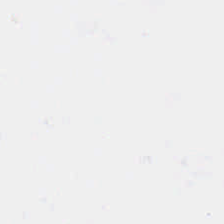Stain: hematoxylin-and-eosin stained section.
Classification: no tissue.
